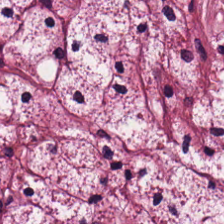Hematoxylin-and-eosin stained section — Predominant tissue: desmoplastic stroma.
